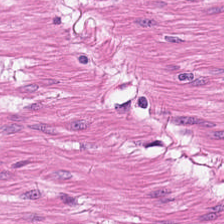H&E-stained tissue section. FFPE.
This field is smooth muscle.
